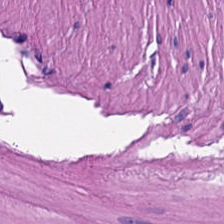Finding → smooth-muscle tissue.
